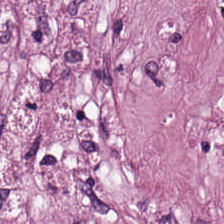H&E-stained section; the field shows cancer-associated stroma.
